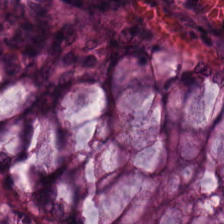224×224 px tile; WSI patch; H&E — Predominant tissue — non-neoplastic colon mucosa.
